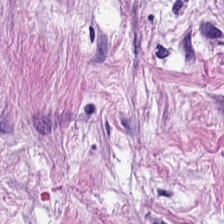H&E. Finding → cancer-associated stroma.
